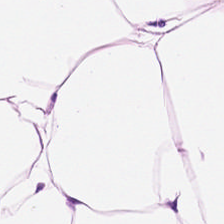Hematoxylin-and-eosin stained section. 0.5 µm/px.
Classification — adipocytes.
